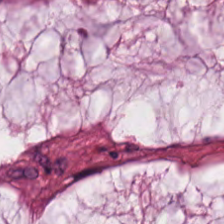Brightfield microscopy. Hematoxylin-and-eosin stained section. 0.5 µm per pixel. Q: What is shown in this field?
A: It is mucus.
